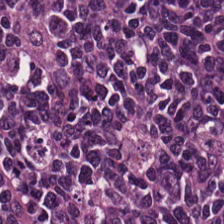0.5 µm/px · FFPE tissue section · hematoxylin-and-eosin stained section. The tissue here is lymphocytes.
